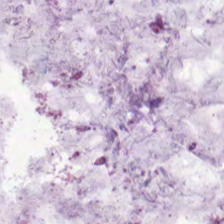Hematoxylin-and-eosin stained section — Finding → mucus.
